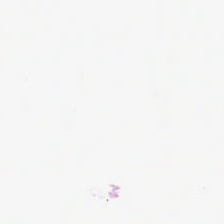H&E — Q: Classify this patch.
A: This is background (no tissue).
